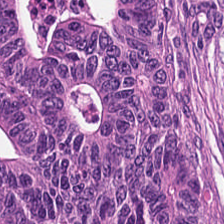224×224 px tile. Hematoxylin and eosin.
Q: Identify the tissue.
A: The field shows colorectal adenocarcinoma.
